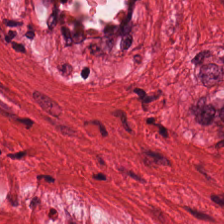0.5 microns per pixel; hematoxylin-and-eosin stained section.
Classification — muscularis.
